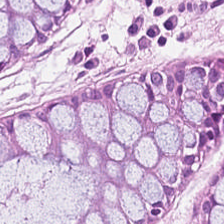Hematoxylin-and-eosin stained section — Classification — non-neoplastic colon mucosa.
